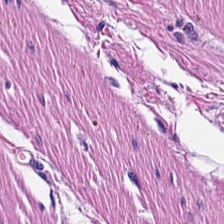20× equivalent magnification; H&E-stained tissue section. Tissue class: muscularis.
